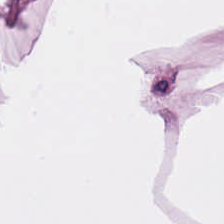Hematoxylin and eosin. FFPE tissue section. Q: What type of tissue is this?
A: It is fat tissue.
